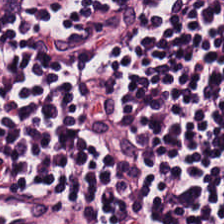Hematoxylin-and-eosin stained section — Predominant tissue — lymphoid infiltrate.
